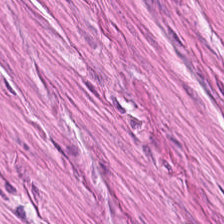Hematoxylin and eosin.
This patch shows smooth-muscle tissue.
